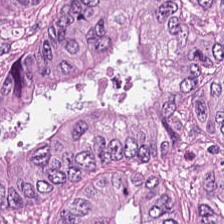Hematoxylin-and-eosin stained section.
Histology — adenocarcinoma.
